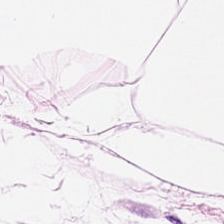H&E; 224×224 px patch; brightfield. Q: Identify the tissue.
A: The field shows adipose.
